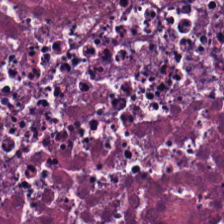Tissue type — cellular debris.
